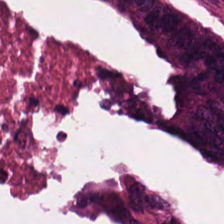H&E-stained tissue section. 224×224 px patch.
The tissue here is malignant epithelium.
